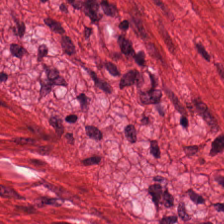{"tissue_type": "smooth muscle"}
